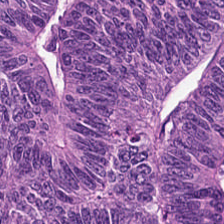H&E.
Predominantly malignant epithelium.
